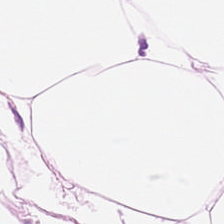224×224 px patch; H&E-stained tissue section.
Tissue class — fat tissue.
